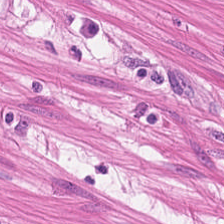Formalin-fixed paraffin-embedded section; hematoxylin-and-eosin stained section — Tissue type: smooth-muscle tissue.
